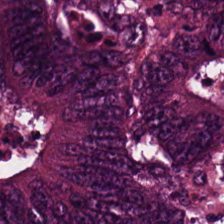Stain: hematoxylin and eosin.
Resolution: 0.5 µm/px.
Predominant tissue: colorectal adenocarcinoma.
